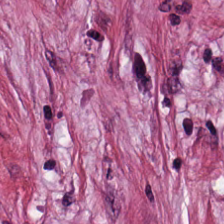Finding — tumor stroma.
